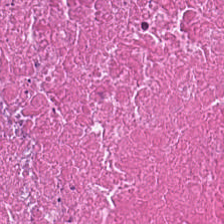Brightfield microscopy; H&E stain — Classification: cellular debris.
